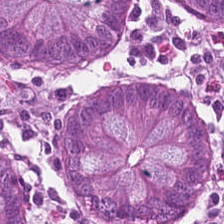Formalin-fixed paraffin-embedded section; H&E stain; brightfield microscopy.
The tissue here is normal colonic mucosa.
